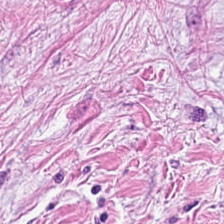Stain: hematoxylin and eosin.
Classification: desmoplastic stroma.
